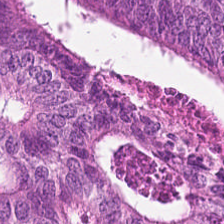Stain: H&E stain.
Acquisition: whole-slide-image patch.
Tissue type: adenocarcinoma.
